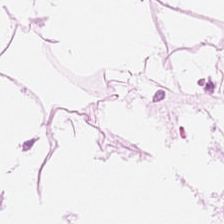H&E stain.
Tissue class = adipocytes.
